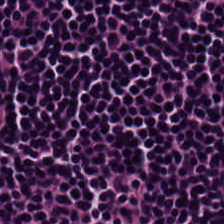H&E-stained tissue section. The tissue here is lymphocytic infiltrate.
